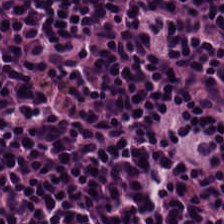H&E-stained tissue section; FFPE; 224×224 pixel tile. Predominant tissue — lymphoid infiltrate.
